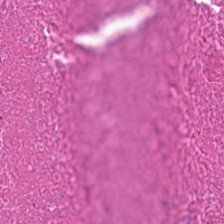H&E-stained tissue section.
Showing debris.
